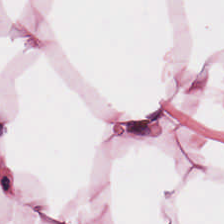Stain: hematoxylin-and-eosin stained section.
Tissue: fat tissue.
